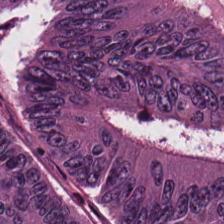Whole-slide-image patch · H&E-stained tissue section · formalin-fixed paraffin-embedded section. Impression — adenocarcinoma.
